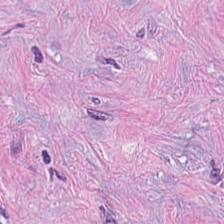224×224 pixel tile; H&E-stained tissue section.
Histology — cancer-associated stroma.
